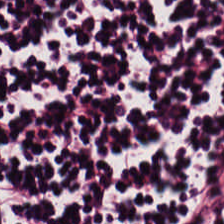Tissue class = lymphocytes.
